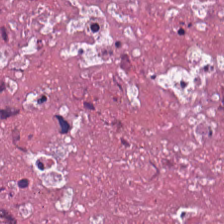224×224 px tile · H&E-stained tissue section.
Tissue = cellular debris.
